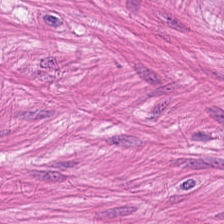H&E-stained tissue section — The predominant tissue is smooth muscle.
